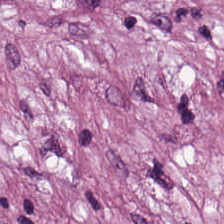0.5 microns per pixel; formalin-fixed paraffin-embedded section; hematoxylin-and-eosin stained section.
Showing desmoplastic stroma.
